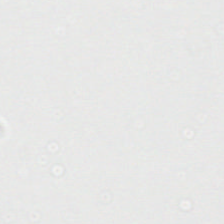Content: empty background.
